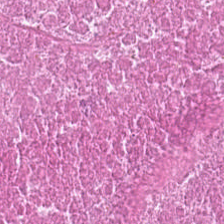Stain: H&E-stained tissue section.
Tissue class: cellular debris.
